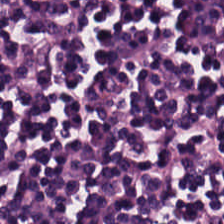H&E stain. Q: What does this patch show?
A: Lymphocyte aggregate.
